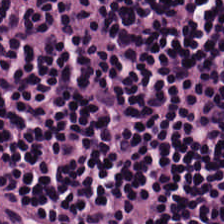Formalin-fixed paraffin-embedded section · hematoxylin and eosin · whole-slide-image patch — Q: What is shown here?
A: Lymphocytes.
